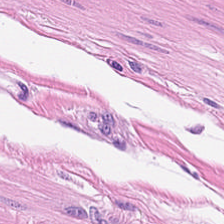H&E; 0.5 µm per pixel.
Q: Classify this patch.
A: The field shows smooth-muscle tissue.
